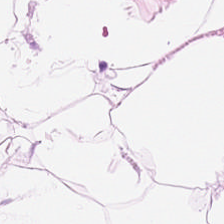H&E-stained tissue section · whole-slide-image patch.
Adipose.
